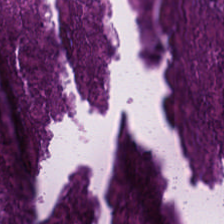Brightfield microscopy. 0.5 µm per pixel. Hematoxylin and eosin. {"tissue_type": "necrotic debris"}
